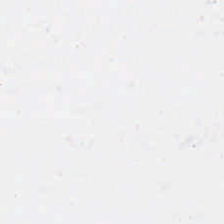Hematoxylin-and-eosin stained section. Q: What does this patch show?
A: No tissue.
